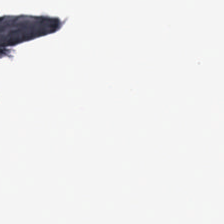FFPE · WSI patch · H&E-stained tissue section.
This patch shows no tissue.
